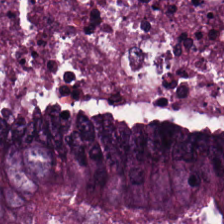0.5 µm/px. Hematoxylin and eosin.
Finding — colorectal adenocarcinoma epithelium.
